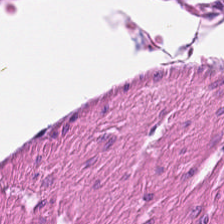H&E.
This field is muscularis.
